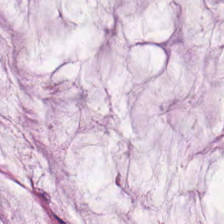224×224 pixel tile · hematoxylin-and-eosin stained section. This field is extracellular mucin.
